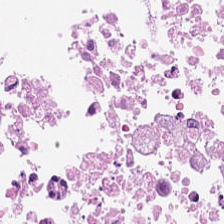{"tissue_type": "necrotic debris"}
